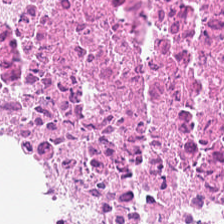FFPE · H&E. This field is necrotic debris.
